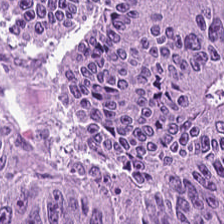H&E — Tissue type — adenocarcinoma.
